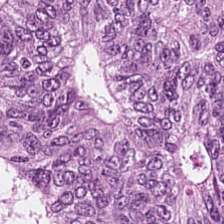H&E-stained tissue section showing adenocarcinoma.
